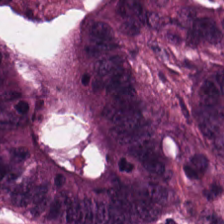H&E — The predominant tissue is tumor epithelium.
